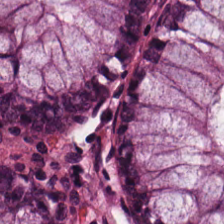0.5 µm/px. FFPE. H&E stain. Histology — normal colonic mucosa.
